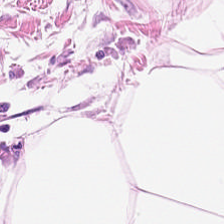H&E-stained tissue section · 224×224 px tile — Predominantly fat tissue.
